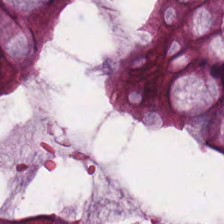Hematoxylin-and-eosin stained section · FFPE tissue section — Finding → non-neoplastic colon mucosa.
